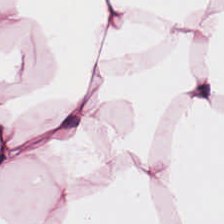Whole-slide-image patch · H&E. Predominant tissue — fat tissue.
